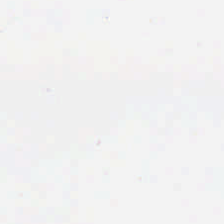Content = empty background.
